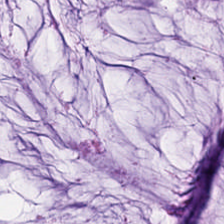H&E-stained tissue section · formalin-fixed paraffin-embedded section.
Predominantly extracellular mucin.
